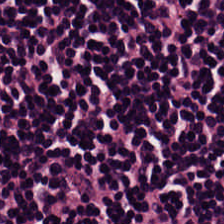H&E stain · whole-slide-image patch · FFPE tissue section — The tissue here is lymphocyte aggregate.
